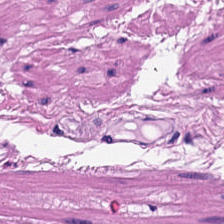Stain: hematoxylin and eosin.
Classification: smooth-muscle tissue.
